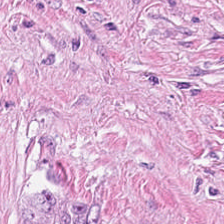H&E-stained tissue section; brightfield microscopy — Tissue = tumor stroma.
